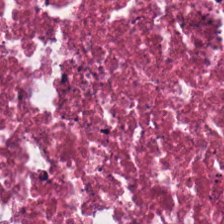224×224 px patch; H&E; brightfield. Q: What is shown in this field?
A: The field shows debris.
